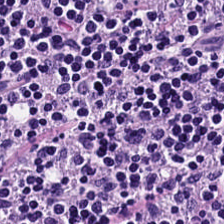H&E-stained tissue section showing lymphocytes.
